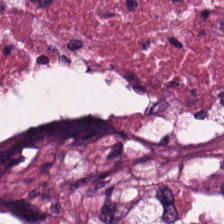H&E.
Impression → necrotic debris.
